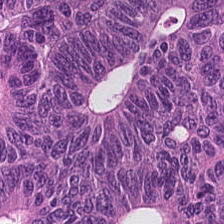H&E stain. 224×224 px patch. 20× equivalent magnification.
The tissue here is colorectal adenocarcinoma.
